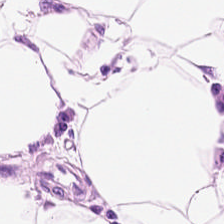H&E-stained tissue section. 224×224 pixel tile — Tissue type = adipose tissue.
